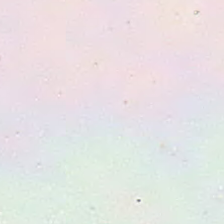Empty field — no tissue.
